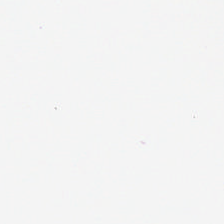Stain: hematoxylin-and-eosin stained section.
Classification: background (no tissue).
